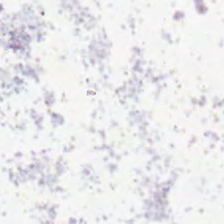Stain: H&E.
Resolution: 20× equivalent magnification.
Classification: no tissue.
